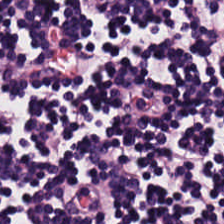H&E; 224×224 px patch. Impression — lymphoid infiltrate.
